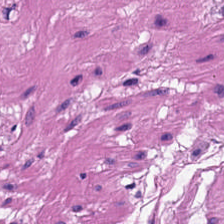224×224 pixel tile; hematoxylin and eosin — This patch shows smooth-muscle tissue.
